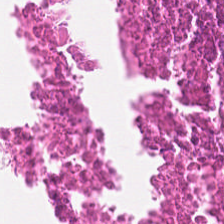0.5 µm per pixel; formalin-fixed paraffin-embedded section; H&E. Q: What is shown in this field?
A: Debris.
